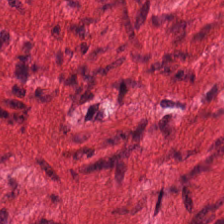Stain: hematoxylin-and-eosin stained section.
Tissue class: smooth muscle.
